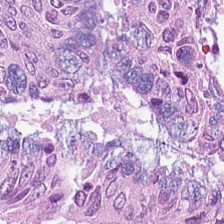Formalin-fixed paraffin-embedded section · H&E stain · whole-slide-image patch — The classification is colorectal adenocarcinoma epithelium.
